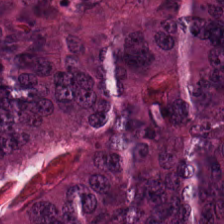H&E-stained tissue section. Tissue type — colorectal adenocarcinoma epithelium.
